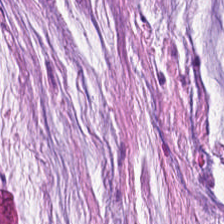H&E. Q: What is the predominant tissue type?
A: Extracellular mucin.
